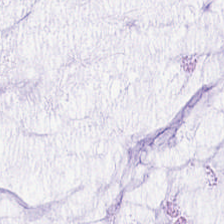Hematoxylin-and-eosin stained section; 224×224 pixel tile; formalin-fixed paraffin-embedded section.
Q: What tissue is shown?
A: This is mucus.
